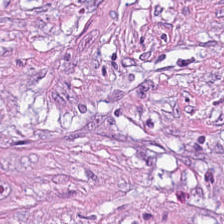Classification — cancer-associated stroma.
